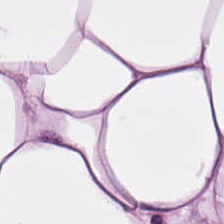H&E — The tissue type is adipocytes.
